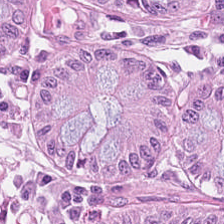Hematoxylin and eosin.
Impression → benign colonic mucosa.
